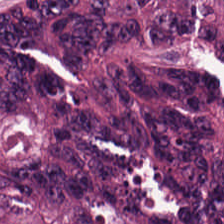The tissue class is adenocarcinoma.
